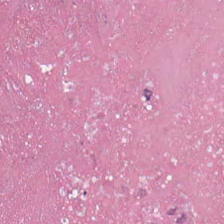Formalin-fixed paraffin-embedded section; H&E stain. Tissue class — debris.
